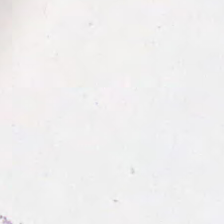Field content: background.
